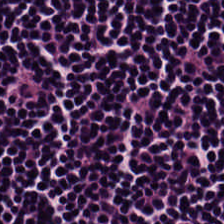H&E-stained tissue section.
Showing lymphocyte aggregate.
